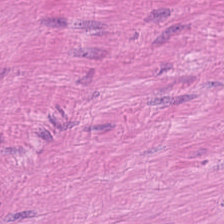0.5 µm/px; 224×224 px patch; hematoxylin and eosin. This patch shows muscularis.
